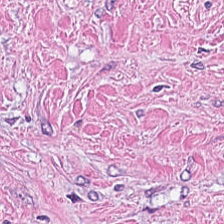224×224 pixel tile; brightfield; H&E. Predominantly tumor-associated stroma.
